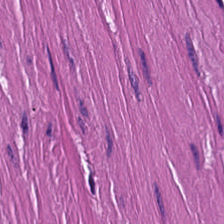Hematoxylin and eosin. Tissue class — smooth-muscle tissue.
